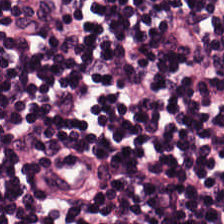Finding → lymphoid infiltrate.
